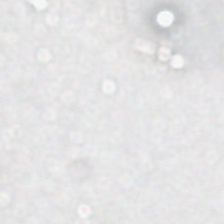No tissue present; background only.
